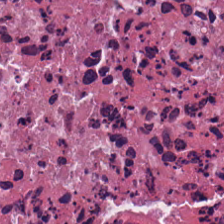H&E-stained section; the field shows cellular debris.
